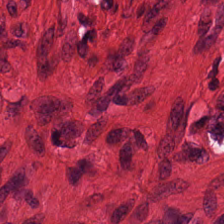The tissue type is smooth-muscle tissue.
